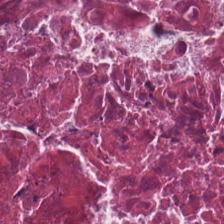H&E — Impression → necrotic debris.
